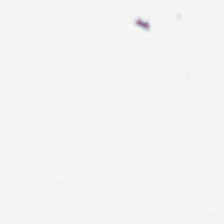Stain: H&E-stained tissue section.
Classification: no tissue.
